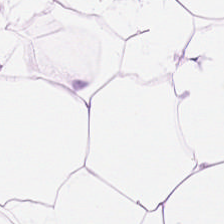Hematoxylin-and-eosin section: adipose tissue.
